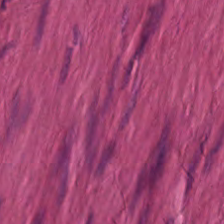Hematoxylin and eosin — Finding — smooth muscle.
